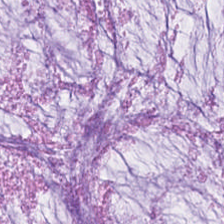H&E patch showing mucus.
